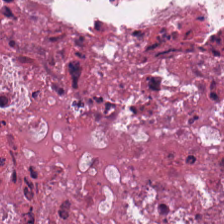H&E.
Finding — debris.
